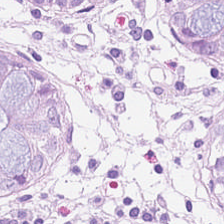Hematoxylin and eosin.
The classification is benign colonic mucosa.
